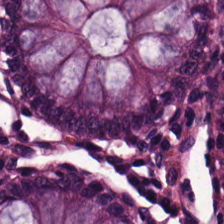H&E-stained tissue section.
Predominantly non-neoplastic colon mucosa.
